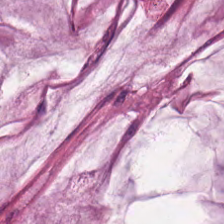Stain: H&E-stained tissue section.
Acquisition: whole-slide-image patch.
Tissue: extracellular mucin.
